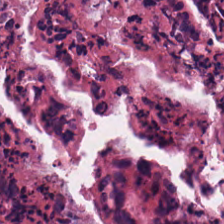FFPE; hematoxylin and eosin. Q: What does this patch show?
A: This is necrotic debris.
